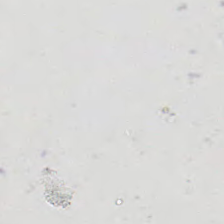H&E · brightfield. Finding — empty background.
